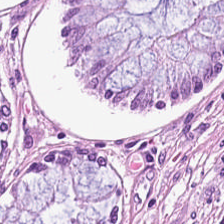20× equivalent magnification. 224×224 px tile. H&E-stained tissue section.
This patch shows normal colonic mucosa.
